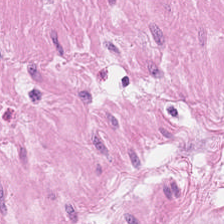H&E-stained tissue section. 20× equivalent magnification — This field is smooth-muscle tissue.
